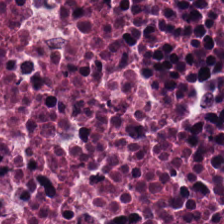Hematoxylin and eosin.
Q: What is the predominant tissue type?
A: Necrotic debris.
